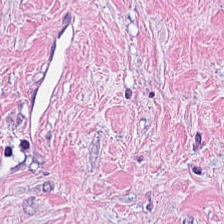H&E patch showing cancer-associated stroma.
